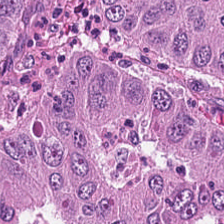Q: Identify the tissue.
A: This is adenocarcinoma.
